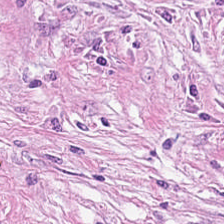Hematoxylin and eosin. 0.5 µm/px. Showing desmoplastic stroma.
